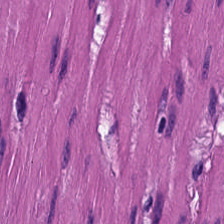Brightfield microscopy · FFPE · hematoxylin and eosin. Classification — muscularis.
